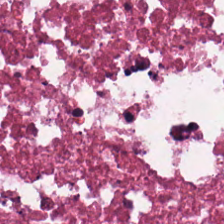H&E. Predominant tissue — necrotic debris.
